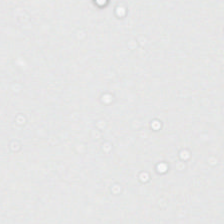Empty field — background.
